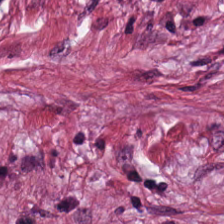20× equivalent magnification; 224×224 px patch; H&E stain.
Q: Classify this patch.
A: The field shows cancer-associated stroma.
